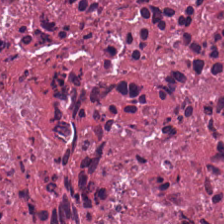H&E stain. Q: What does this patch show?
A: This is necrotic debris.
